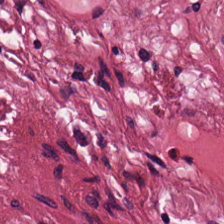H&E stain; 20× equivalent magnification; 224×224 px tile.
Predominant tissue = tumor stroma.
